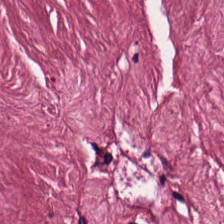H&E-stained tissue section showing cancer-associated stroma.
